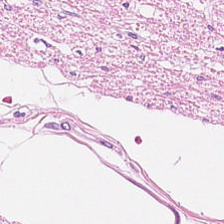Stain: hematoxylin and eosin.
Classification: smooth muscle.
